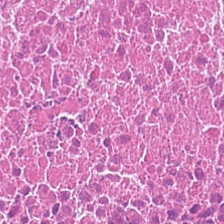Stain: H&E stain.
Tissue class: debris.
